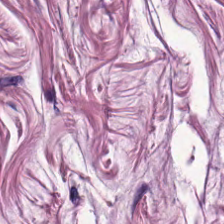H&E-stained tissue section. 224×224 px patch.
Q: What is shown here?
A: It is muscularis.
